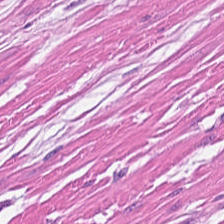Hematoxylin and eosin — Q: What type of tissue is this?
A: Smooth-muscle tissue.
